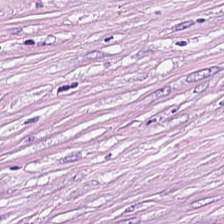H&E stain · FFPE. Q: What does this patch show?
A: This is cancer-associated stroma.
